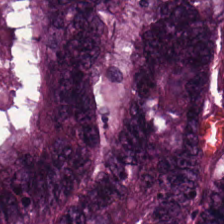0.5 µm per pixel. H&E stain — Tissue type — colorectal adenocarcinoma.
